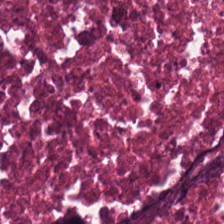Whole-slide-image patch; hematoxylin-and-eosin stained section — The tissue here is necrotic debris.
